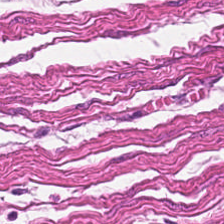H&E stain.
{"tissue_type": "smooth muscle"}
